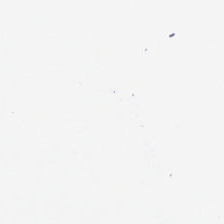This field is background (no tissue).
